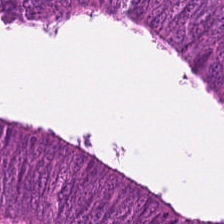H&E — Malignant epithelium.
